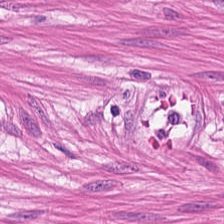Stain: hematoxylin-and-eosin stained section.
Acquisition: whole-slide-image patch.
Preparation: formalin-fixed paraffin-embedded section.
Predominant tissue: muscularis.
